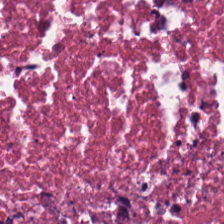Stain: hematoxylin-and-eosin stained section.
Acquisition: WSI patch.
Preparation: FFPE tissue section.
Tissue type: debris.
